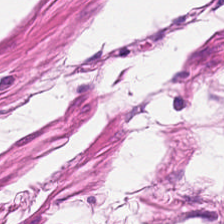Hematoxylin-and-eosin stained section · 224×224 px tile. Predominantly muscularis.
